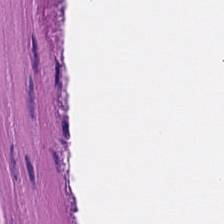H&E-stained tissue section; brightfield — Finding → smooth-muscle tissue.
